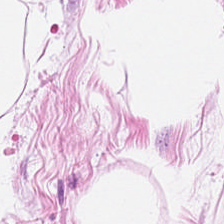Stain: hematoxylin and eosin.
Resolution: 0.5 µm per pixel.
Tissue: adipose tissue.
